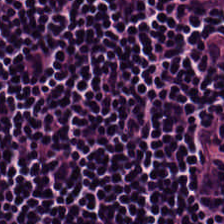H&E-stained tissue section. This patch shows lymphocytic infiltrate.
